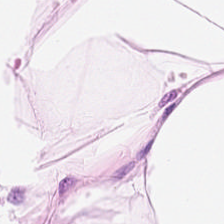Hematoxylin-and-eosin stained section. 224×224 px tile. Whole-slide-image patch — Tissue: adipose.
